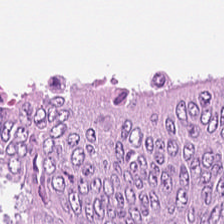Hematoxylin-and-eosin stained section; FFPE.
The tissue type is adenocarcinoma.
